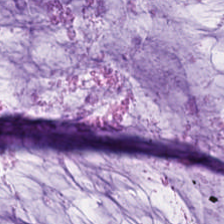H&E-stained tissue section.
Impression → mucin.
